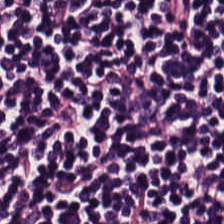Hematoxylin and eosin; 0.5 microns per pixel.
The predominant tissue is lymphoid infiltrate.
